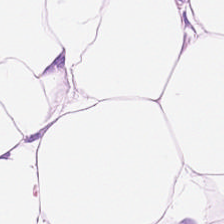Stain: H&E.
Predominant tissue: adipose tissue.
